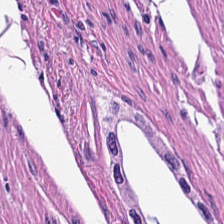H&E stain. 224×224 pixel tile. WSI patch. The classification is muscularis.
